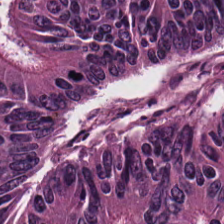The predominant tissue is malignant epithelium.
